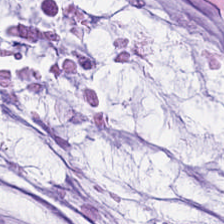H&E; 224×224 pixel tile.
Mucin.
